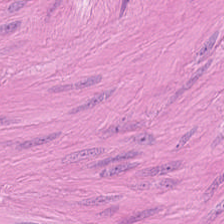H&E · FFPE tissue section · 224×224 pixel tile — The tissue type is smooth-muscle tissue.
